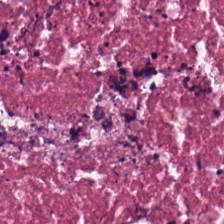H&E stain.
This field is debris.
